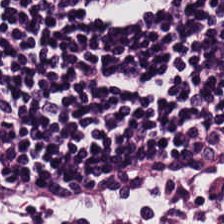This patch shows lymphocyte aggregate.
